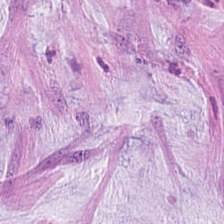224×224 px tile. 0.5 microns per pixel. H&E-stained tissue section — Q: What is the predominant tissue type?
A: Mucin.
